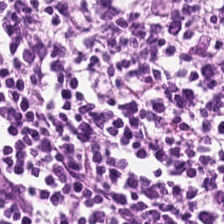H&E-stained tissue section.
Showing lymphocytes.
